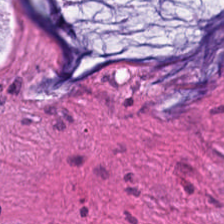Hematoxylin-and-eosin stained section — Mucus.
